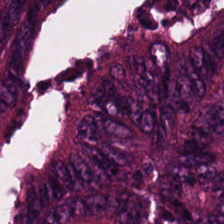Stain: H&E-stained tissue section.
Predominant tissue: colorectal adenocarcinoma epithelium.
